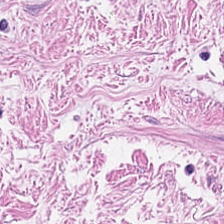0.5 µm per pixel. H&E.
Classification — muscularis.
